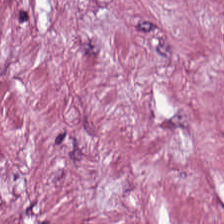H&E stain. Showing cancer-associated stroma.
